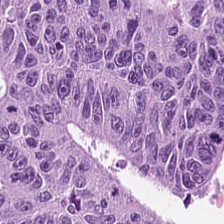H&E-stained section; the field shows colorectal adenocarcinoma.
